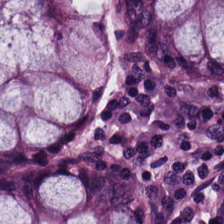Predominant tissue: benign colonic mucosa.
